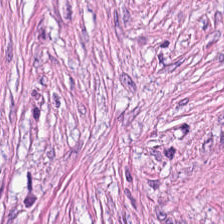H&E-stained tissue section. 224×224 pixel tile. Q: What is the predominant tissue type?
A: Cancer-associated stroma.
